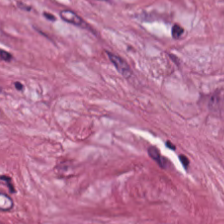Formalin-fixed paraffin-embedded section · 0.5 µm/px · H&E — The tissue here is desmoplastic stroma.
